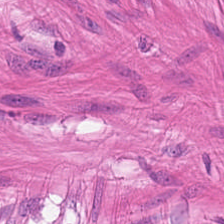Classification — smooth muscle.
